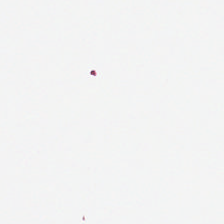Hematoxylin-and-eosin stained section.
Field content = background.
